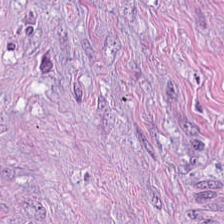H&E stain.
Impression → tumor-associated stroma.
